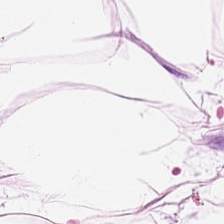H&E-stained tissue section. Brightfield microscopy. FFPE tissue section. The predominant tissue is adipose.
